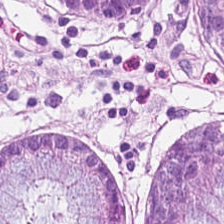Stain: H&E.
Tissue class: normal colonic mucosa.
